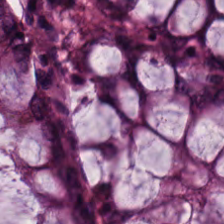0.5 µm per pixel. 224×224 px tile. H&E — Histology — normal colonic mucosa.
